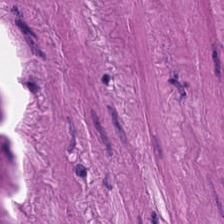H&E patch showing muscularis.
